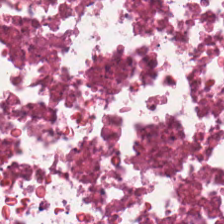Formalin-fixed paraffin-embedded section · hematoxylin-and-eosin stained section — This field is cellular debris.
